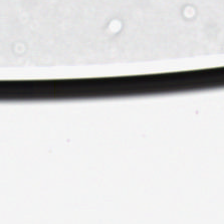Background (no tissue).
